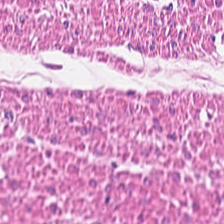FFPE tissue section. Hematoxylin and eosin. 224×224 px tile. Tissue class — smooth-muscle tissue.
